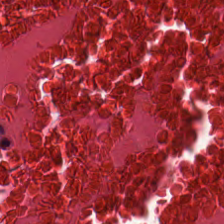Stain: H&E stain.
Acquisition: brightfield.
Preparation: FFPE tissue section.
Tissue class: cellular debris.
